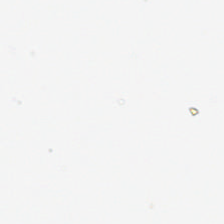H&E-stained tissue section — Empty field — empty background.
